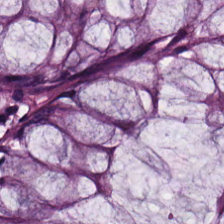0.5 µm/px; H&E stain; formalin-fixed paraffin-embedded section.
The predominant tissue is non-neoplastic colon mucosa.
